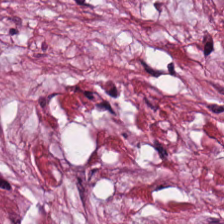The predominant tissue is cancer-associated stroma.
